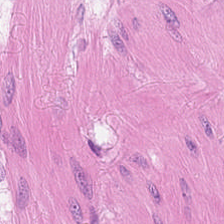Stain: H&E-stained tissue section.
Classification: smooth-muscle tissue.
